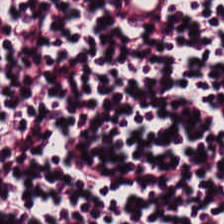Hematoxylin-and-eosin stained section.
Predominant tissue — lymphocyte aggregate.
